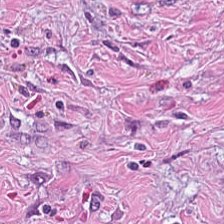Stain: H&E stain.
Tissue class: desmoplastic stroma.
